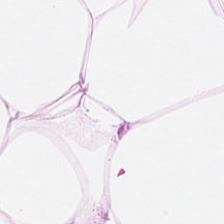Stain: H&E stain.
Tissue class: fat tissue.
